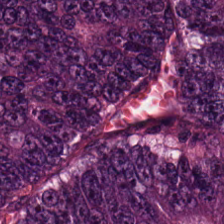Formalin-fixed paraffin-embedded section; H&E stain — The predominant tissue is tumor epithelium.
